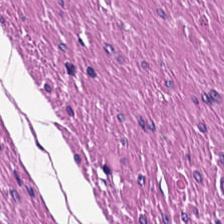H&E; 224×224 pixel tile.
Q: What is shown in this field?
A: Muscularis.
